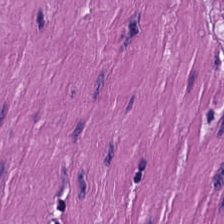224×224 px patch; H&E stain.
{"tissue_type": "muscularis"}
